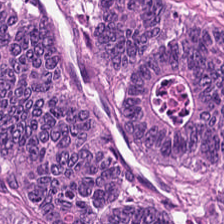Impression — colorectal adenocarcinoma epithelium.
